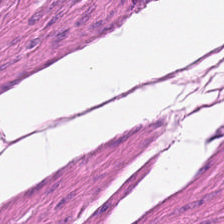This patch shows smooth muscle.
